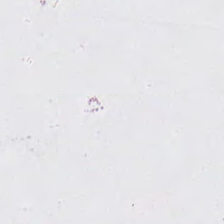Hematoxylin and eosin.
The content is background (no tissue).
